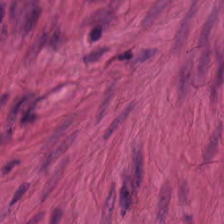Finding → smooth muscle.
